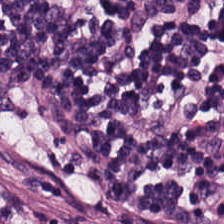Stain: H&E.
Tissue class: lymphocyte aggregate.
